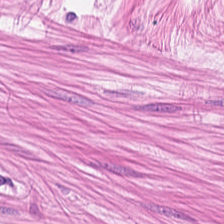Stain: hematoxylin-and-eosin stained section.
Tissue type: smooth-muscle tissue.
